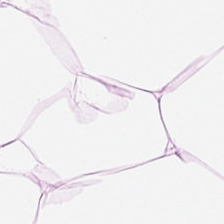224×224 px tile. Hematoxylin-and-eosin stained section. Impression → adipose.
